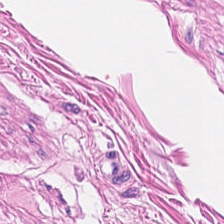Hematoxylin-and-eosin stained section — {"tissue_type": "muscularis"}
